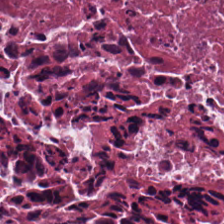H&E · 0.5 µm per pixel — The tissue class is cellular debris.
